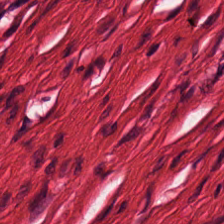0.5 microns per pixel. H&E. 224×224 px tile.
{"tissue_type": "muscularis"}
